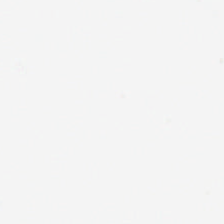Hematoxylin and eosin — Finding → empty background.
